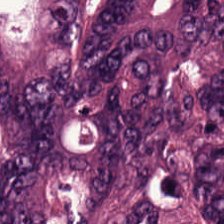H&E-stained tissue section — Colorectal adenocarcinoma epithelium.
